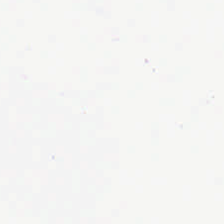H&E-stained tissue section.
Background (no tissue).
